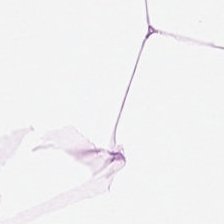H&E-stained tissue section · 224×224 px tile. {"tissue_type": "adipose tissue"}
